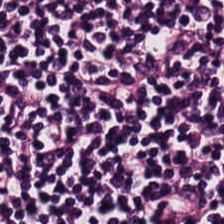Hematoxylin and eosin.
Tissue = lymphocytes.
